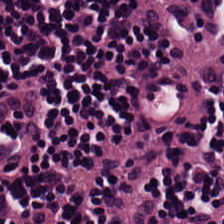WSI patch; 0.5 µm/px; H&E-stained tissue section. Tissue: lymphoid infiltrate.
